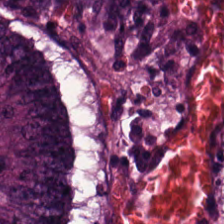Hematoxylin-and-eosin stained section. The tissue here is malignant epithelium.
